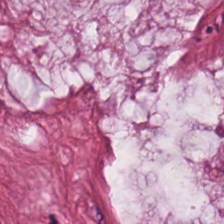H&E-stained tissue section. Tissue class — mucin.
